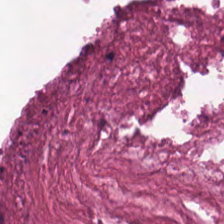H&E — Q: What type of tissue is this?
A: It is necrotic debris.
